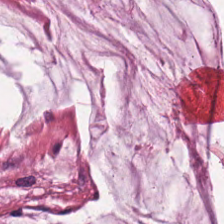Q: What type of tissue is this?
A: Extracellular mucin.
